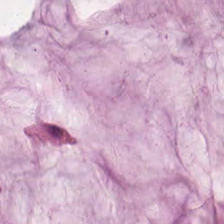Stain: H&E.
Classification: mucin.
